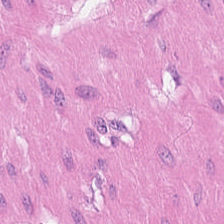H&E patch showing smooth muscle.
